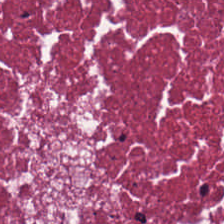Predominant tissue: cellular debris.
